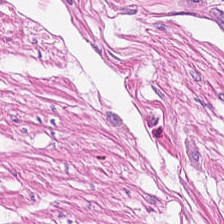Hematoxylin and eosin. FFPE. 20× equivalent magnification.
Q: What is shown here?
A: The field shows smooth muscle.
